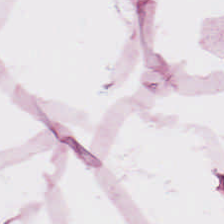The predominant tissue is fat tissue.
